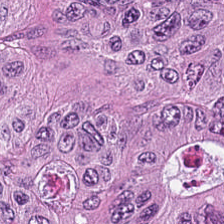H&E stain.
This field is malignant epithelium.
